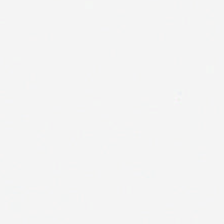Hematoxylin and eosin. 0.5 µm per pixel. Histology — background (no tissue).
